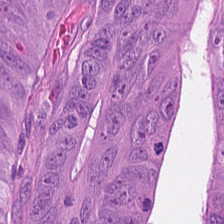H&E-stained tissue section showing colorectal adenocarcinoma epithelium.
